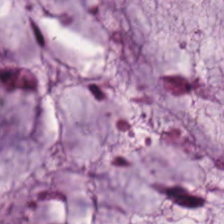H&E-stained tissue section.
Predominantly mucus.
